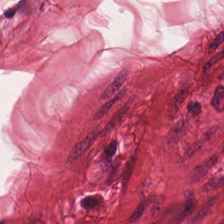Stain: hematoxylin-and-eosin stained section.
Tissue: smooth-muscle tissue.
